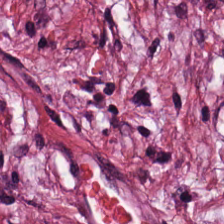Stain: H&E stain.
Acquisition: WSI patch.
Preparation: FFPE tissue section.
Tissue class: desmoplastic stroma.
